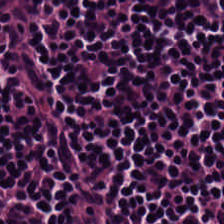Impression → lymphocyte aggregate.
